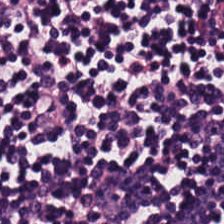Impression — lymphocytic infiltrate.
